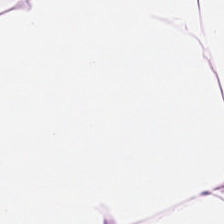FFPE; hematoxylin-and-eosin stained section. Classification: fat tissue.
